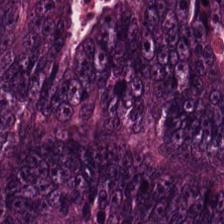Hematoxylin-and-eosin stained section; 224×224 px patch. Tissue type: tumor epithelium.
